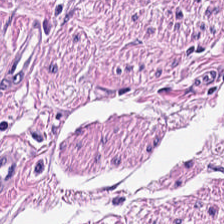H&E. Smooth-muscle tissue.
